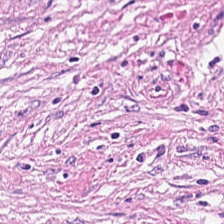Hematoxylin-and-eosin stained section. FFPE — The tissue here is tumor stroma.
